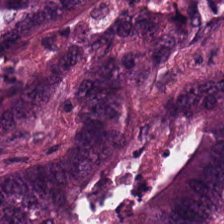Hematoxylin and eosin — Q: What does this patch show?
A: The field shows adenocarcinoma.
